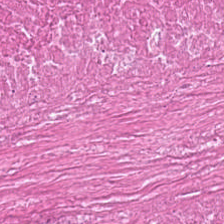224×224 px patch · H&E. Q: What does this patch show?
A: It is necrotic debris.
